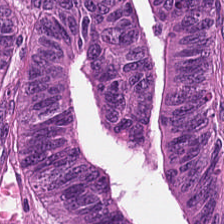{"tissue_type": "malignant epithelium"}
